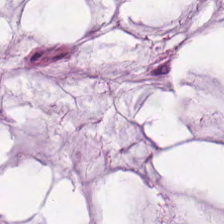This field is extracellular mucin.
